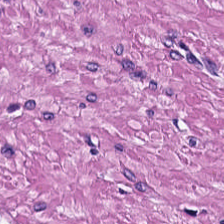H&E-stained tissue section.
This patch shows muscularis.
